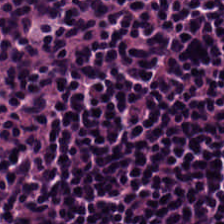Stain: H&E stain.
Resolution: 0.5 µm/px.
Tissue class: lymphocytic infiltrate.
